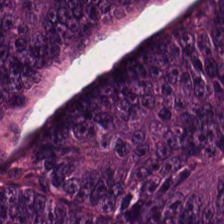Tissue class: colorectal adenocarcinoma epithelium.
